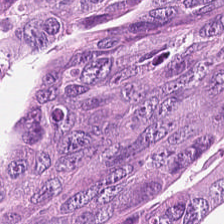H&E-stained tissue section.
Colorectal adenocarcinoma.
